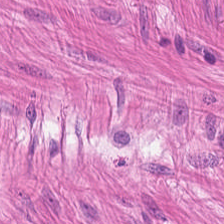H&E stain. Q: Classify this patch.
A: The field shows smooth-muscle tissue.
